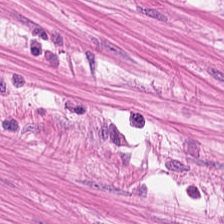H&E — Histology — smooth muscle.
